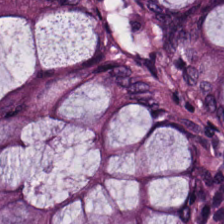Q: Identify the tissue.
A: The field shows benign colonic mucosa.
